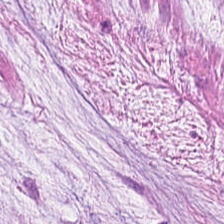Hematoxylin-and-eosin stained section; 224×224 px patch; 0.5 microns per pixel.
This patch shows mucin.
